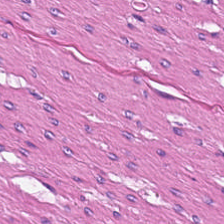H&E-stained tissue section.
This patch shows smooth muscle.
